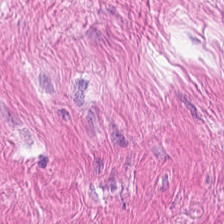Q: What tissue type is shown here?
A: This is muscularis.
